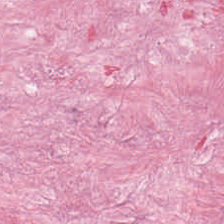H&E.
Q: What tissue is shown?
A: Tumor stroma.
